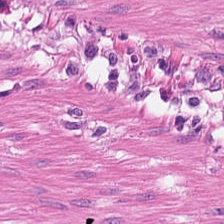Hematoxylin-and-eosin stained section. WSI patch — Classification: muscularis.
